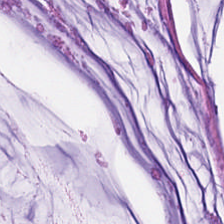FFPE tissue section. Hematoxylin-and-eosin stained section. 0.5 µm per pixel.
Impression → mucin.
